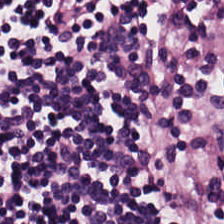Brightfield microscopy. H&E-stained tissue section.
Predominantly lymphoid infiltrate.
